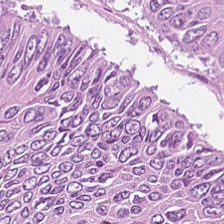H&E.
Tissue — colorectal adenocarcinoma epithelium.
